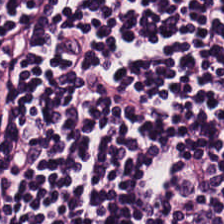H&E.
Histology → lymphoid infiltrate.
